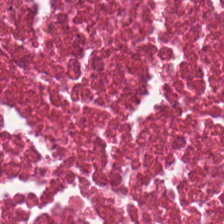Stain: hematoxylin-and-eosin stained section.
Tissue class: debris.
